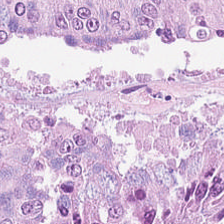Hematoxylin-and-eosin stained section.
This field is tumor epithelium.
